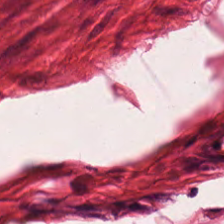Showing smooth muscle.
